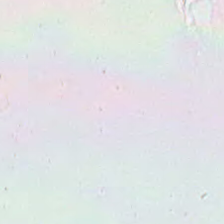H&E — {"content": "background"}
